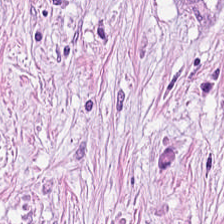Formalin-fixed paraffin-embedded section; 0.5 microns per pixel; hematoxylin-and-eosin stained section.
The tissue here is cancer-associated stroma.
